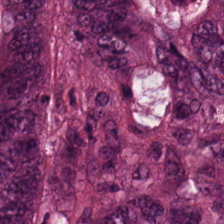Impression → adenocarcinoma.
